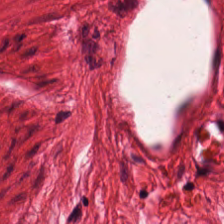H&E stain. 224×224 px patch. WSI patch. Predominant tissue: smooth-muscle tissue.
